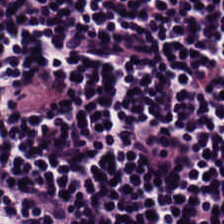H&E; 20× equivalent magnification; formalin-fixed paraffin-embedded section — This field is lymphocyte aggregate.
